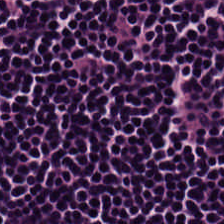H&E stain.
Histology — lymphocytic infiltrate.
